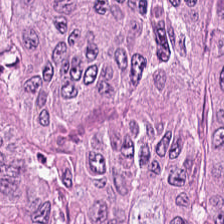The tissue here is colorectal adenocarcinoma epithelium.
